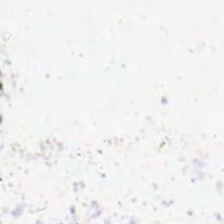Hematoxylin and eosin — {"content": "background (no tissue)"}
